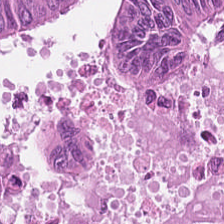Stain: H&E stain.
Classification: malignant epithelium.
